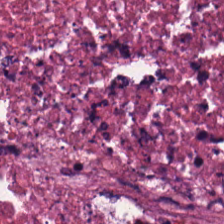Formalin-fixed paraffin-embedded section; H&E. Cellular debris.
